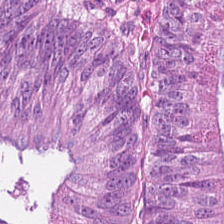H&E-stained tissue section; formalin-fixed paraffin-embedded section.
Q: Classify this patch.
A: Malignant epithelium.
